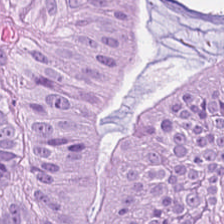Histology — malignant epithelium.
